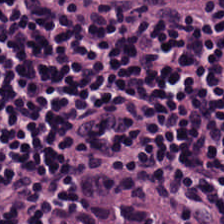Predominantly lymphocytes.
